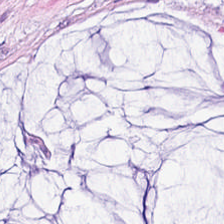Hematoxylin and eosin.
This field is mucus.
